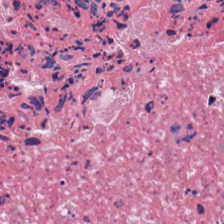Predominant tissue = debris.
